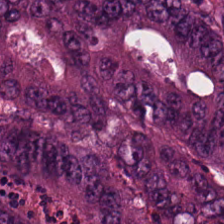FFPE tissue section. H&E. Predominantly adenocarcinoma.
